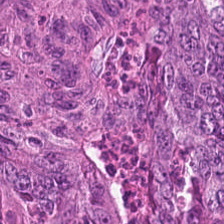H&E-stained tissue section; 0.5 µm/px. Predominant tissue: tumor epithelium.
